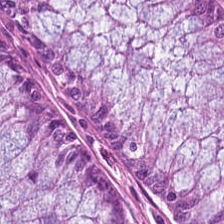This field is benign colonic mucosa.
